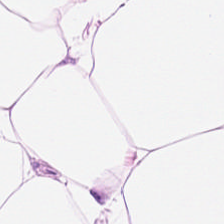Hematoxylin and eosin. FFPE tissue section.
The predominant tissue is adipose.
